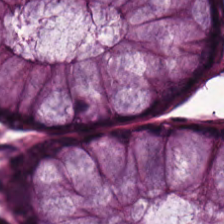Whole-slide-image patch. H&E-stained tissue section — Tissue class — non-neoplastic colon mucosa.
